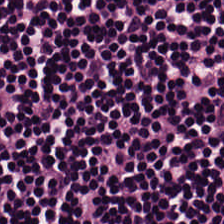224×224 px tile. FFPE. H&E stain — Q: What does this patch show?
A: The field shows lymphocytic infiltrate.
